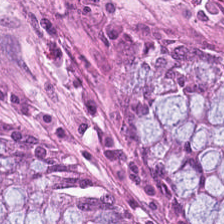FFPE; hematoxylin-and-eosin stained section — Predominantly benign colonic mucosa.
